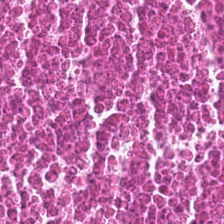Q: What type of tissue is this?
A: This is necrotic debris.
